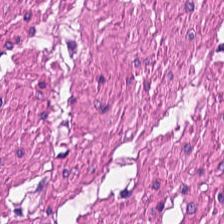H&E · 224×224 pixel tile.
This patch shows smooth muscle.
